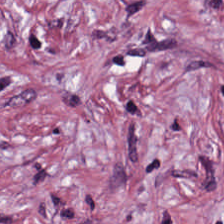H&E.
Showing tumor-associated stroma.
